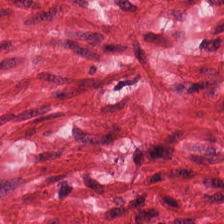Smooth muscle.
